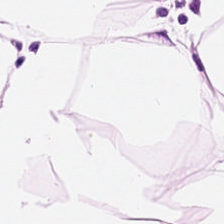0.5 µm/px · hematoxylin-and-eosin stained section.
This field is adipose tissue.
